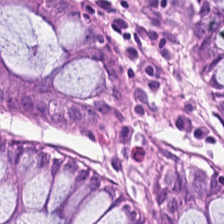H&E · WSI patch.
Showing benign colonic mucosa.
